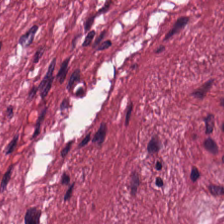Hematoxylin and eosin. FFPE tissue section. The predominant tissue is tumor stroma.
